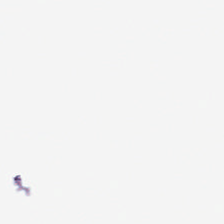0.5 µm/px. H&E.
Q: Classify this patch.
A: Background (no tissue).
